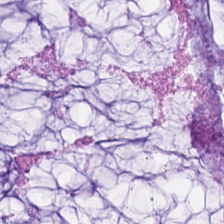H&E-stained tissue section — Tissue type = mucus.
